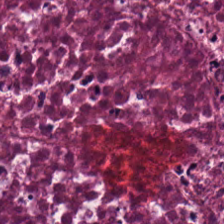FFPE. H&E stain.
Predominant tissue = cellular debris.
